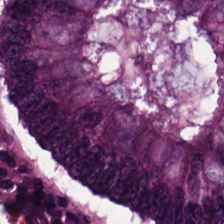Brightfield microscopy. Hematoxylin-and-eosin stained section. This patch shows colorectal adenocarcinoma epithelium.
